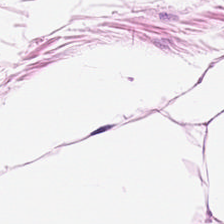H&E-stained tissue section.
Tissue type — adipose.
